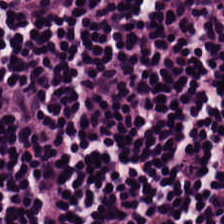224×224 px patch. H&E — Classification: lymphocytes.
